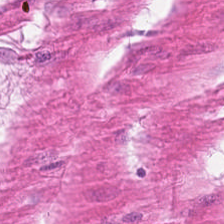Hematoxylin and eosin — The tissue here is muscularis.
